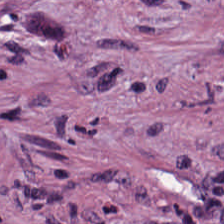H&E-stained tissue section. Formalin-fixed paraffin-embedded section.
Q: Classify this patch.
A: The field shows cancer-associated stroma.
